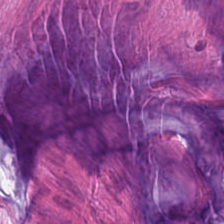Hematoxylin-and-eosin section: extracellular mucin.
